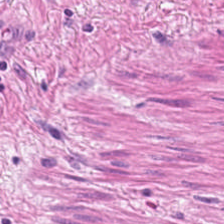Impression → smooth muscle.
